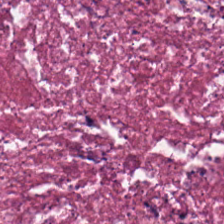H&E stain. Necrotic debris.
